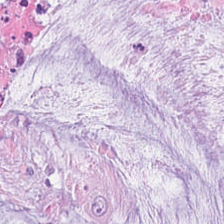Q: What tissue is shown?
A: It is extracellular mucin.
